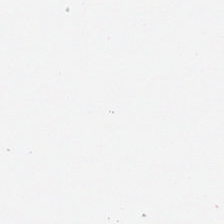H&E stain.
No tissue present; background only.
